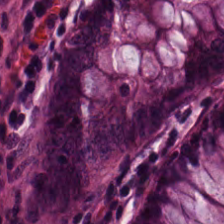WSI patch. H&E-stained tissue section. 0.5 microns per pixel. This patch shows non-neoplastic colon mucosa.
